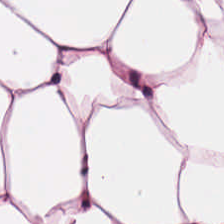H&E-stained section; the field shows adipocytes.
